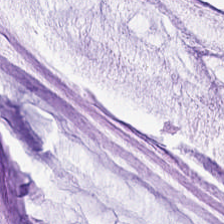H&E stain — Q: Identify the tissue.
A: The field shows mucin.
